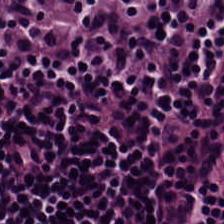Formalin-fixed paraffin-embedded section. H&E stain. 0.5 microns per pixel.
Showing lymphocytic infiltrate.
